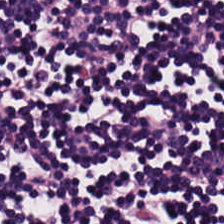Q: Identify the tissue.
A: Lymphocytic infiltrate.
